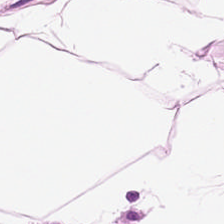Hematoxylin and eosin.
Classification — adipose.
